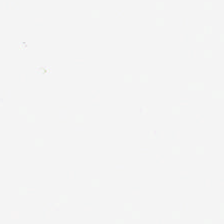0.5 µm per pixel; hematoxylin-and-eosin stained section — Classification: background (no tissue).
